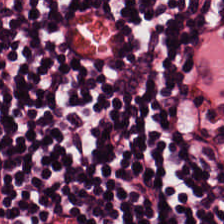20× equivalent magnification; 224×224 px tile; H&E. Lymphocyte aggregate.
